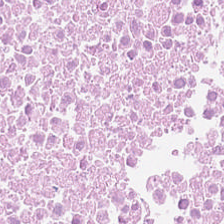H&E stain · whole-slide-image patch.
Predominantly cellular debris.
